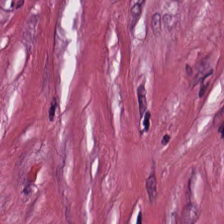Hematoxylin-and-eosin stained section — The predominant tissue is tumor-associated stroma.
